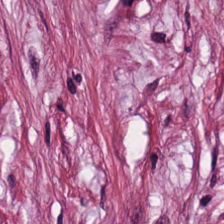H&E-stained tissue section. Tissue — cancer-associated stroma.
